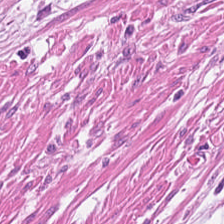Stain: H&E-stained tissue section.
Tissue class: muscularis.
